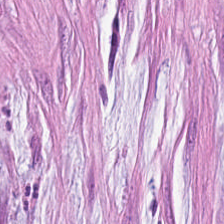Hematoxylin-and-eosin stained section. Finding → mucus.
